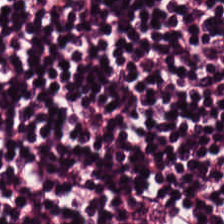0.5 microns per pixel. H&E stain. Showing lymphocytes.
